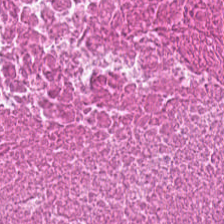H&E stain — The tissue here is cellular debris.
